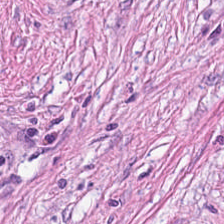The tissue here is cancer-associated stroma.
